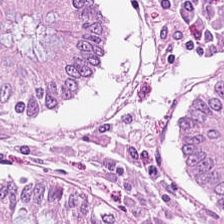0.5 µm per pixel. H&E stain. This patch shows non-neoplastic colon mucosa.
